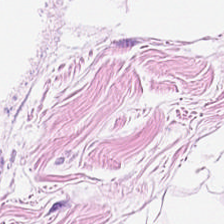Hematoxylin and eosin. Q: What type of tissue is this?
A: Fat tissue.
